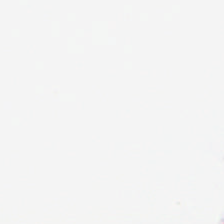H&E stain — Classification: background.
